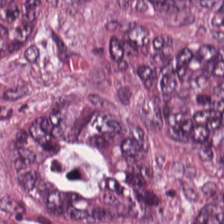Hematoxylin and eosin. This patch shows colorectal adenocarcinoma.
